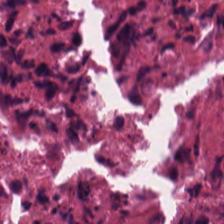Stain: H&E stain.
Resolution: 20× equivalent magnification.
Predominant tissue: debris.
